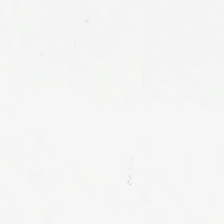20× equivalent magnification · 224×224 pixel tile · H&E-stained tissue section — Field content — background (no tissue).
